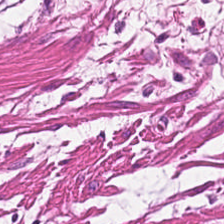224×224 px tile; H&E. Predominantly smooth-muscle tissue.
